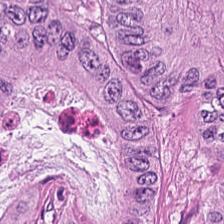Stain: H&E.
Predominant tissue: malignant epithelium.
